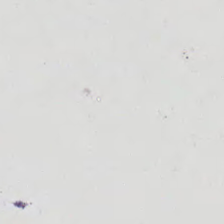Empty background.
